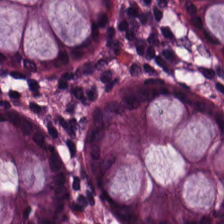Hematoxylin and eosin. Impression → normal colonic mucosa.
